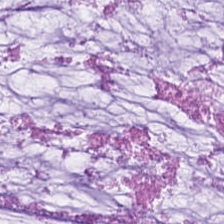WSI patch. H&E.
Showing mucin.
